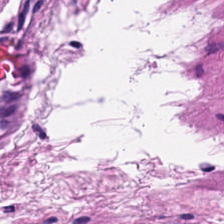FFPE tissue section · 0.5 µm/px · hematoxylin and eosin. Tissue class — smooth-muscle tissue.
